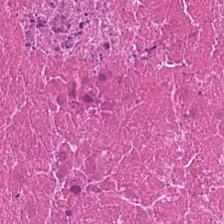H&E-stained tissue section. Finding → cellular debris.
